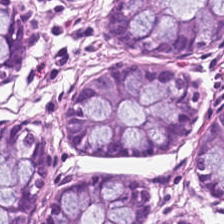224×224 px patch. 0.5 µm per pixel. H&E-stained tissue section. Finding — benign colonic mucosa.
